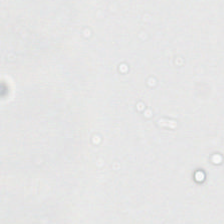Hematoxylin and eosin. This patch shows empty background.
